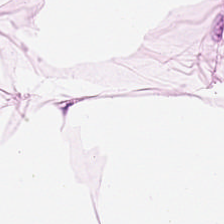Stain: H&E-stained tissue section.
Predominant tissue: fat tissue.
